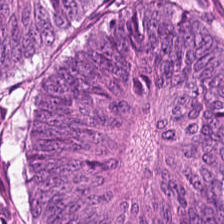Tissue class — tumor epithelium.
